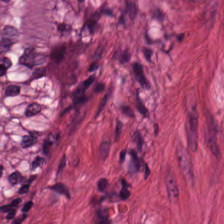Hematoxylin and eosin. Showing smooth muscle.
